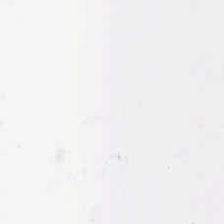0.5 µm per pixel; hematoxylin-and-eosin stained section.
Field content — empty background.
